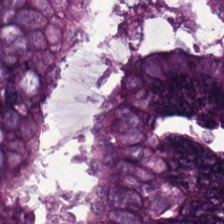H&E; brightfield.
Impression → tumor epithelium.
